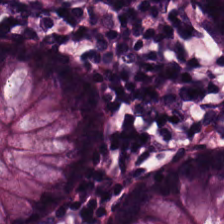Predominant tissue = non-neoplastic colon mucosa.
